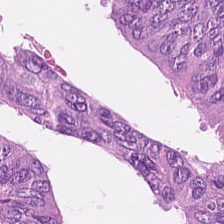Hematoxylin and eosin. 224×224 px tile. Q: Classify this patch.
A: The field shows colorectal adenocarcinoma.
